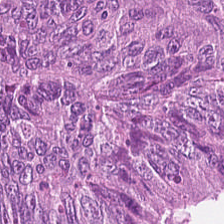H&E stain. Histology → colorectal adenocarcinoma.
